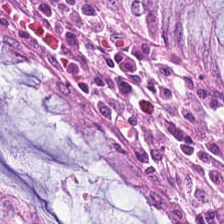H&E-stained tissue section — This patch shows non-neoplastic colon mucosa.
